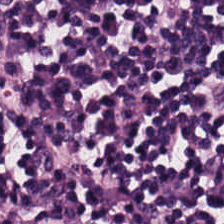H&E-stained tissue section — The tissue here is lymphocytic infiltrate.
